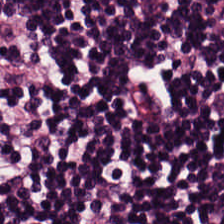H&E-stained tissue section — Predominantly lymphocytes.
